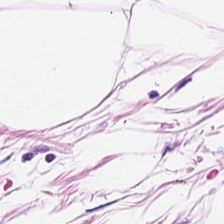224×224 pixel tile; H&E; 0.5 µm per pixel. Q: What type of tissue is this?
A: It is adipocytes.
